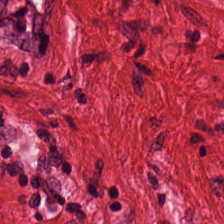H&E stain. Finding → muscularis.
